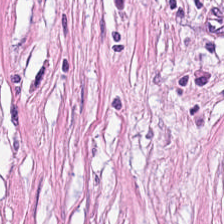Stain: H&E stain.
Preparation: FFPE.
Tissue: tumor stroma.
